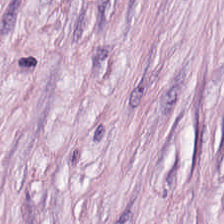Finding — desmoplastic stroma.
